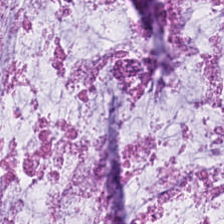20× equivalent magnification. H&E stain.
This patch shows extracellular mucin.
